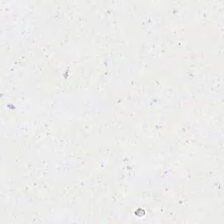H&E; 224×224 pixel tile. Impression → empty background.
